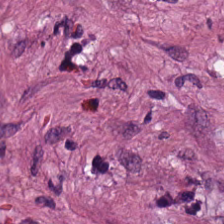H&E stain — Tissue = desmoplastic stroma.
